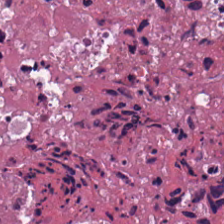224×224 px patch. 0.5 µm/px. Hematoxylin and eosin. This patch shows cellular debris.
